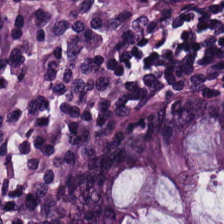Hematoxylin-and-eosin stained section — Q: What tissue type is shown here?
A: The field shows normal colonic mucosa.
